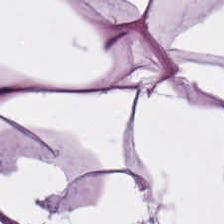H&E stain.
Adipose.
